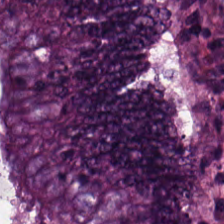0.5 microns per pixel; hematoxylin and eosin — {"tissue_type": "colorectal adenocarcinoma epithelium"}
